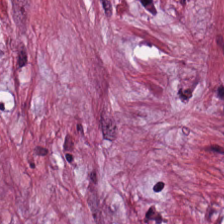H&E stain. This patch shows tumor-associated stroma.
